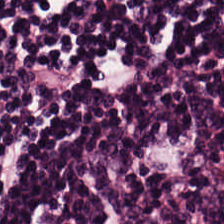Predominantly lymphoid infiltrate.
